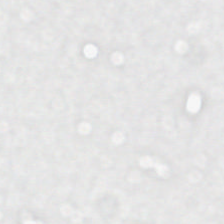H&E. Classification — no tissue.
